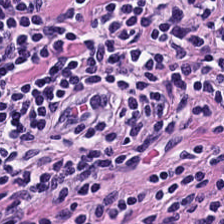0.5 microns per pixel · 224×224 px tile · hematoxylin and eosin. The tissue is lymphocytic infiltrate.
